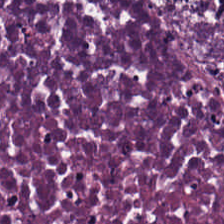Hematoxylin and eosin · 224×224 px patch · 20× equivalent magnification.
Q: What is shown here?
A: It is debris.
